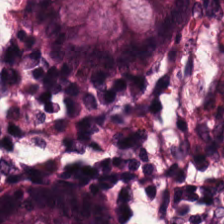H&E-stained tissue section. Impression — normal colon mucosa.
